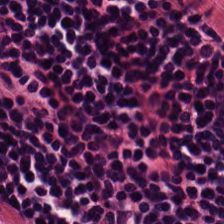WSI patch. H&E stain.
This field is lymphoid infiltrate.
